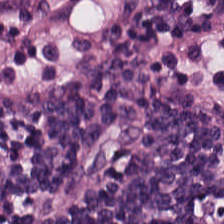Hematoxylin-and-eosin stained section. Classification — lymphocytic infiltrate.
